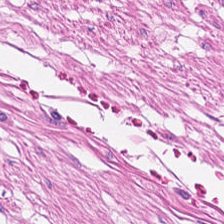H&E — The tissue class is smooth muscle.
